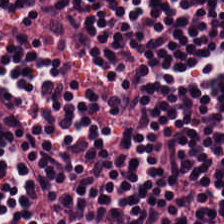H&E-stained tissue section.
Tissue = lymphocytic infiltrate.
